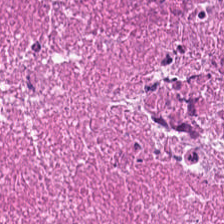Stain: H&E-stained tissue section.
Classification: cellular debris.
